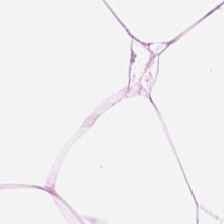0.5 microns per pixel. Hematoxylin and eosin. 224×224 px patch. Predominantly adipose tissue.
